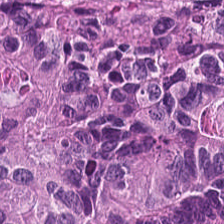H&E stain. Q: Classify this patch.
A: This is colorectal adenocarcinoma epithelium.
